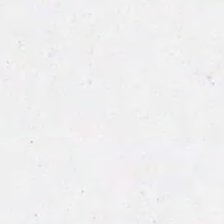FFPE; H&E-stained tissue section.
Q: What is shown here?
A: Background.
